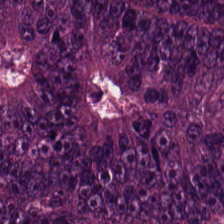H&E. Tissue class — tumor epithelium.
